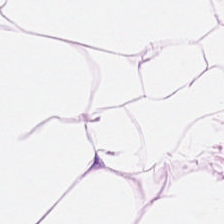H&E-stained tissue section · 224×224 pixel tile.
Tissue type — fat tissue.
